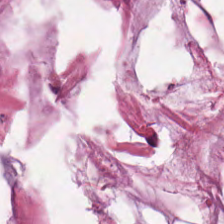Whole-slide-image patch. Hematoxylin-and-eosin stained section.
Q: What is shown here?
A: Mucus.
